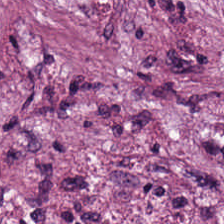This field is cancer-associated stroma.
